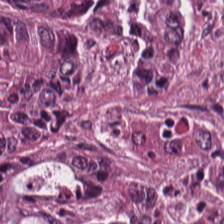Q: What type of tissue is this?
A: Colorectal adenocarcinoma.
